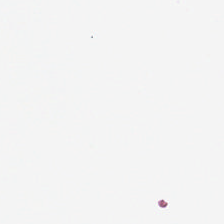Hematoxylin and eosin · 20× equivalent magnification · FFPE.
Content: empty background.
